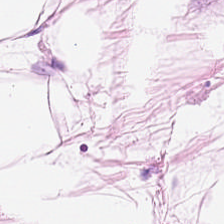H&E-stained tissue section. The predominant tissue is adipose.
